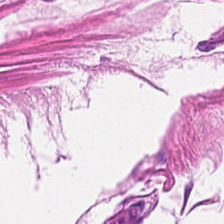The predominant tissue is muscularis.
